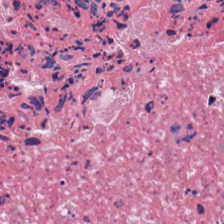Whole-slide-image patch · H&E.
Showing debris.
